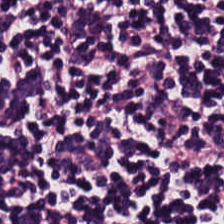H&E stain.
Tissue class: lymphocytic infiltrate.
